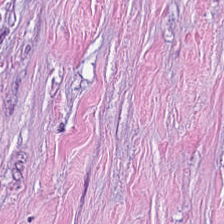H&E — cancer-associated stroma.
